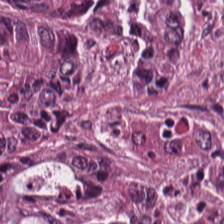H&E. Classification = colorectal adenocarcinoma epithelium.
